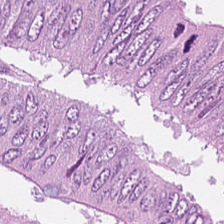Hematoxylin and eosin.
The tissue here is colorectal adenocarcinoma epithelium.
